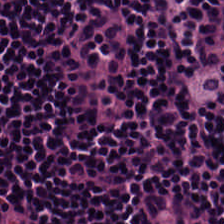H&E. This patch shows lymphocyte aggregate.
